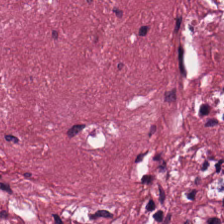Finding → tumor-associated stroma.
